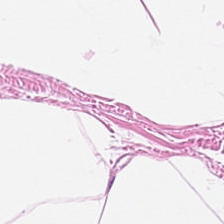Hematoxylin-and-eosin stained section.
Q: What type of tissue is this?
A: It is adipose tissue.
